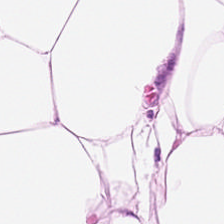H&E-stained tissue section.
Showing adipocytes.
